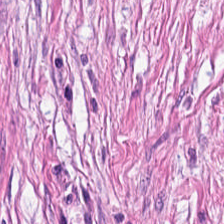Showing tumor-associated stroma.
